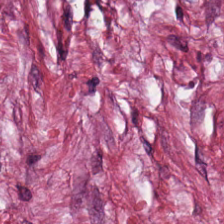Hematoxylin and eosin.
This field is cancer-associated stroma.
